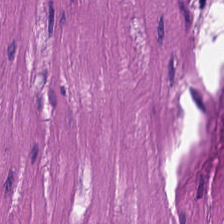FFPE. H&E stain. The tissue class is smooth-muscle tissue.
